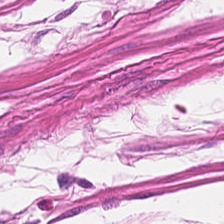H&E. This patch shows smooth-muscle tissue.
